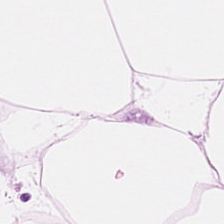224×224 px patch; H&E.
Tissue class: fat tissue.
